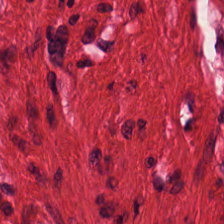H&E stain — The predominant tissue is muscularis.
